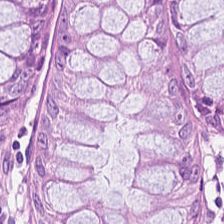Hematoxylin-and-eosin section: non-neoplastic colon mucosa.
